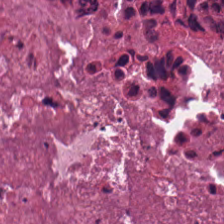H&E-stained tissue section. This field is cellular debris.
